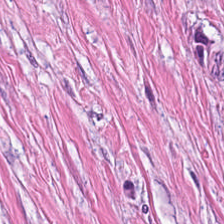Hematoxylin-and-eosin stained section. Histology — cancer-associated stroma.
